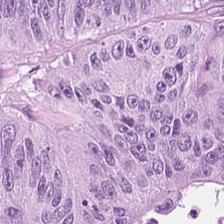H&E stain. The tissue here is adenocarcinoma.
